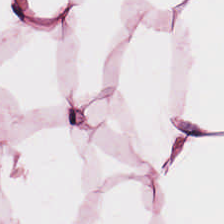H&E stain — Tissue type — adipocytes.
